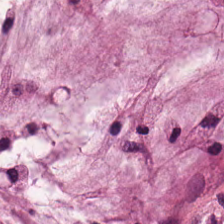Hematoxylin-and-eosin stained section.
Predominant tissue = mucin.
